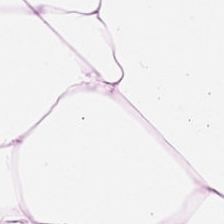224×224 px patch; formalin-fixed paraffin-embedded section; H&E.
Histology — fat tissue.
